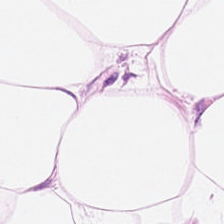This field is fat tissue.
